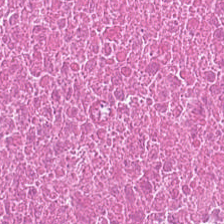20× equivalent magnification; 224×224 px tile; hematoxylin-and-eosin stained section. The tissue here is necrotic debris.
